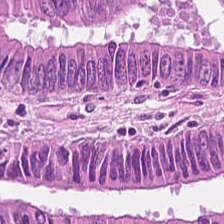Stain: H&E stain.
Acquisition: WSI patch.
Tissue type: colorectal adenocarcinoma.
